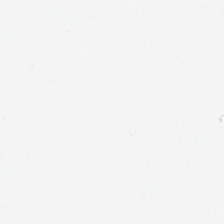H&E-stained tissue section — Content — empty background.
